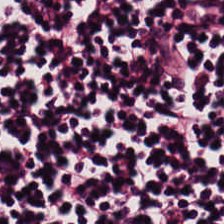Whole-slide-image patch. H&E. Predominantly lymphocytes.
